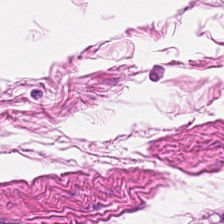H&E — smooth muscle.
